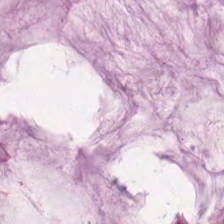H&E stain. This patch shows mucin.
